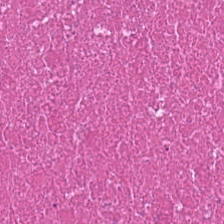FFPE; 224×224 pixel tile; H&E stain — The predominant tissue is debris.
